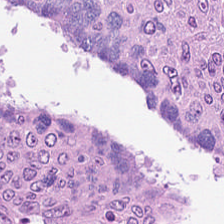FFPE; H&E-stained tissue section; 224×224 pixel tile. This field is malignant epithelium.
